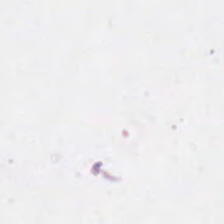Stain: hematoxylin-and-eosin stained section.
Preparation: FFPE.
Content: background (no tissue).
